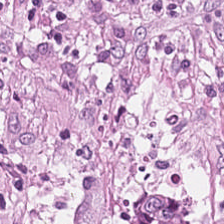224×224 pixel tile. Hematoxylin and eosin — This field is tumor-associated stroma.
